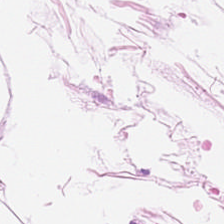FFPE; H&E-stained tissue section — This patch shows adipocytes.
